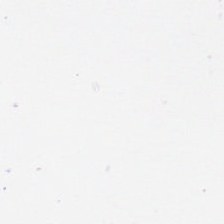224×224 pixel tile · H&E stain. No tissue present; background only.
